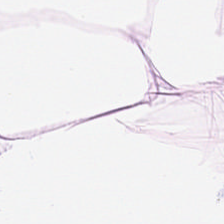Brightfield microscopy; H&E-stained tissue section — Finding — adipose.
